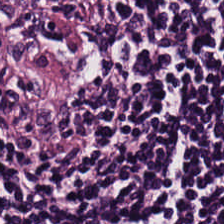H&E-stained tissue section. Predominant tissue — lymphocytes.
